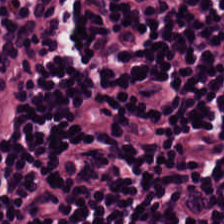Stain: H&E stain.
Resolution: 0.5 microns per pixel.
Tissue class: lymphoid infiltrate.
